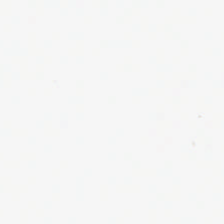Stain: hematoxylin and eosin.
Content: no tissue.
